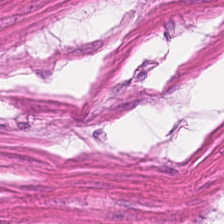H&E. {"tissue_type": "muscularis"}
